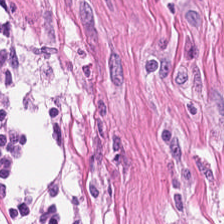Stain: hematoxylin and eosin.
Resolution: 0.5 microns per pixel.
Classification: smooth muscle.
